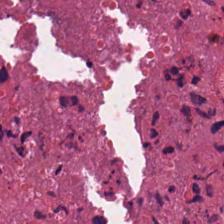Q: Classify this patch.
A: The field shows cellular debris.
